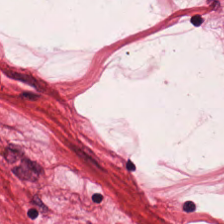Impression → muscularis.
